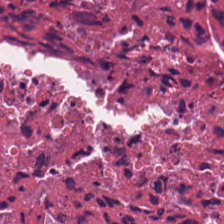Hematoxylin and eosin; brightfield.
The tissue class is debris.
